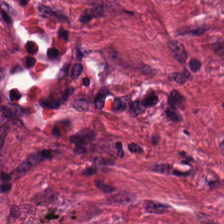H&E · WSI patch · 224×224 px patch — Q: What is the predominant tissue type?
A: This is tumor stroma.
